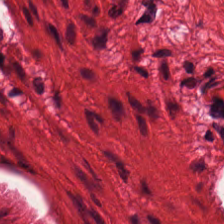H&E. Classification = muscularis.
